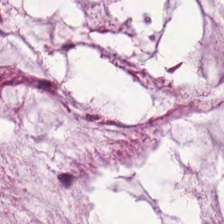0.5 µm per pixel · H&E stain · WSI patch — Tissue class: mucus.
